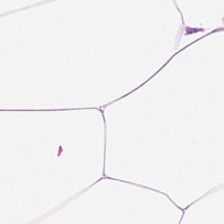Brightfield microscopy. Hematoxylin and eosin. The predominant tissue is adipocytes.
